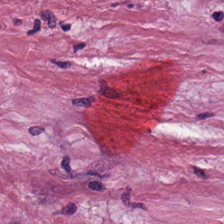The classification is tumor-associated stroma.
